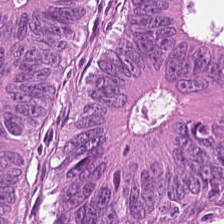224×224 pixel tile; FFPE; hematoxylin-and-eosin stained section.
Showing colorectal adenocarcinoma epithelium.
